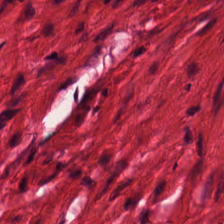H&E-stained tissue section · 224×224 pixel tile. Classification: smooth-muscle tissue.
